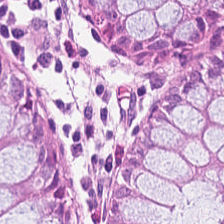Stain: H&E stain.
Tissue class: normal colon mucosa.
